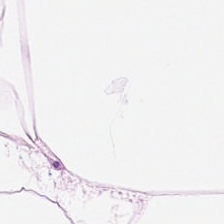Hematoxylin-and-eosin stained section.
Impression — adipocytes.
